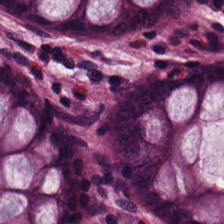Stain: hematoxylin-and-eosin stained section.
Classification: benign colonic mucosa.
